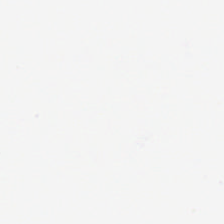FFPE; H&E — The content is background.
